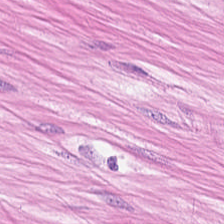Stain: H&E stain.
Tile size: 224×224 px tile.
Classification: muscularis.
